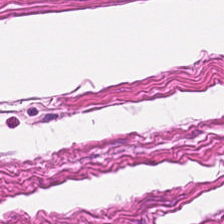Hematoxylin-and-eosin stained section. Predominantly smooth-muscle tissue.
